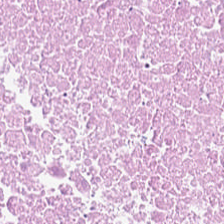Hematoxylin and eosin.
Debris.
